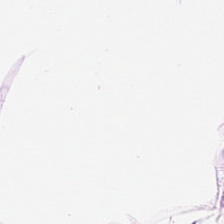H&E-stained tissue section. Q: What type of tissue is this?
A: Adipocytes.
